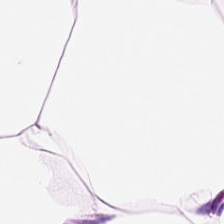Hematoxylin and eosin. Showing adipose tissue.
